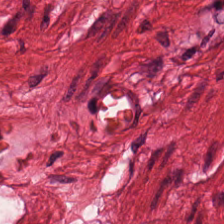0.5 µm/px · H&E-stained tissue section — Tissue class = muscularis.
